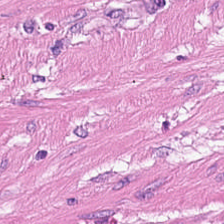H&E stain; 0.5 µm/px — Tissue type — smooth muscle.
